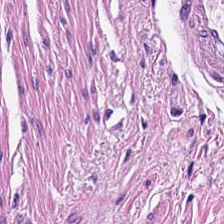Smooth-muscle tissue.
